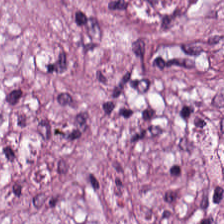Impression → cancer-associated stroma.
